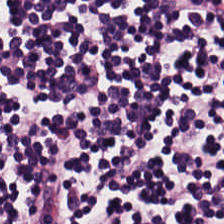Impression → lymphocytic infiltrate.
